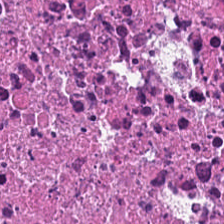FFPE. Hematoxylin-and-eosin stained section — Q: What is shown in this field?
A: Debris.
